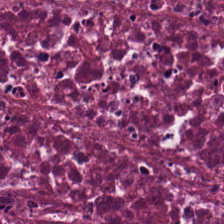Hematoxylin-and-eosin stained section. The tissue here is necrotic debris.
